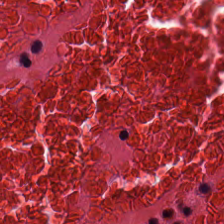H&E stain. The predominant tissue is necrotic debris.
